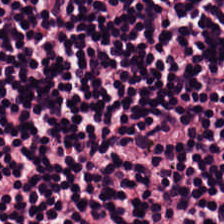H&E stain. Brightfield. FFPE tissue section. The predominant tissue is lymphocyte aggregate.
